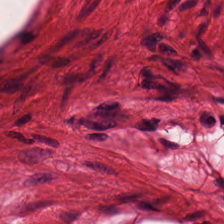Stain: H&E-stained tissue section.
Predominant tissue: muscularis.
